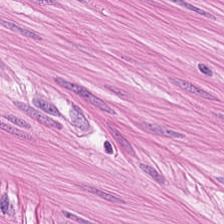FFPE · hematoxylin and eosin · 20× equivalent magnification — The predominant tissue is smooth muscle.
